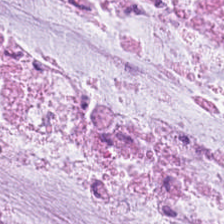Q: What is the predominant tissue type?
A: Mucin.
